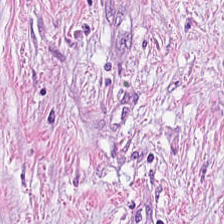Formalin-fixed paraffin-embedded section. H&E-stained tissue section.
Classification = desmoplastic stroma.
